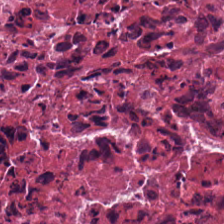0.5 µm/px; hematoxylin-and-eosin stained section — Tissue type = necrotic debris.
